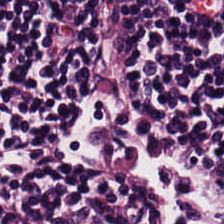H&E stain.
Showing lymphoid infiltrate.
